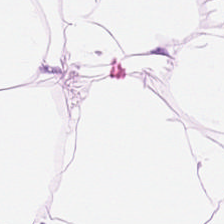Q: What type of tissue is this?
A: It is fat tissue.
